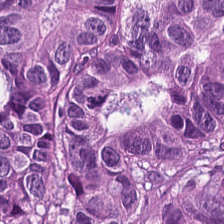Brightfield microscopy; 224×224 px patch; hematoxylin-and-eosin stained section. Tissue class — adenocarcinoma.
